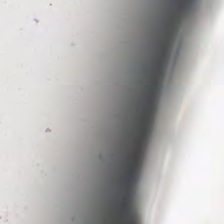Q: What is shown in this field?
A: Background (no tissue).
